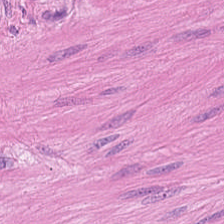H&E stain — Predominant tissue — muscularis.
